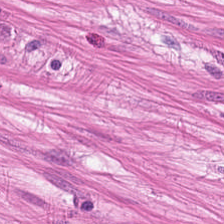Stain: hematoxylin-and-eosin stained section.
Tissue class: smooth muscle.
